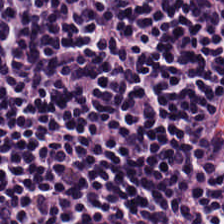Formalin-fixed paraffin-embedded section; hematoxylin and eosin.
Classification: lymphocytic infiltrate.
